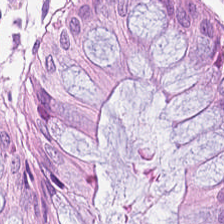FFPE. H&E. Impression → non-neoplastic colon mucosa.
